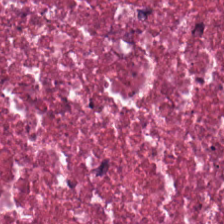Hematoxylin-and-eosin stained section · 224×224 pixel tile · 0.5 µm per pixel. Predominant tissue — debris.
